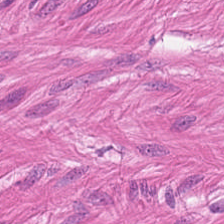H&E-stained tissue section; 224×224 px tile — This patch shows smooth muscle.
